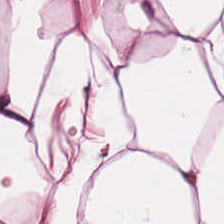Hematoxylin-and-eosin stained section — {"tissue_type": "adipose"}
